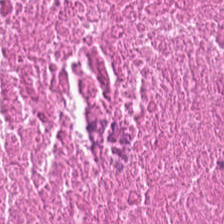Hematoxylin and eosin.
The predominant tissue is debris.
